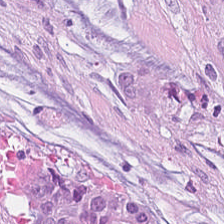Stain: hematoxylin and eosin.
Acquisition: brightfield.
Tissue type: mucus.
